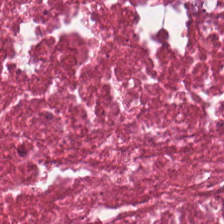Stain: H&E-stained tissue section.
Tissue class: cellular debris.
